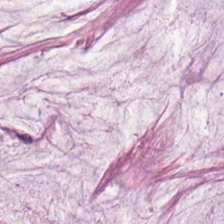H&E stain. 0.5 µm/px. Formalin-fixed paraffin-embedded section. Tissue — mucus.
